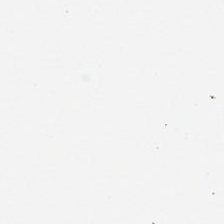H&E stain. 20× equivalent magnification. FFPE tissue section. {"content": "no tissue"}
